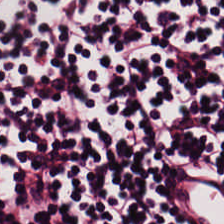Hematoxylin and eosin; brightfield; 224×224 pixel tile.
Q: What does this patch show?
A: Lymphocyte aggregate.
